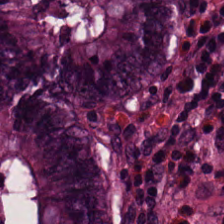Hematoxylin-and-eosin stained section.
Q: What tissue is shown?
A: Normal colon mucosa.
